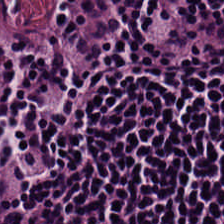Showing lymphocytes.
